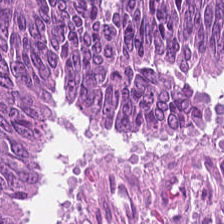H&E. Tissue: tumor epithelium.
